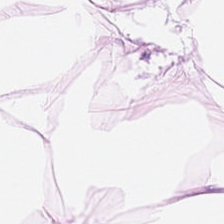Finding → adipose tissue.
